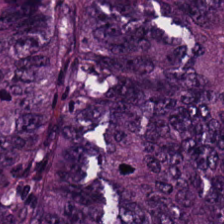H&E · 224×224 pixel tile.
The tissue here is adenocarcinoma.
